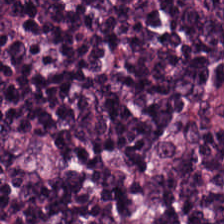H&E. Q: What type of tissue is this?
A: It is lymphocytes.
